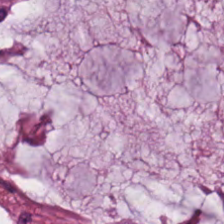H&E — Tissue class = mucin.
